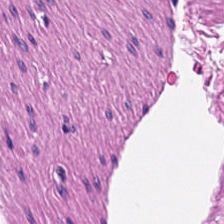Predominant tissue: smooth-muscle tissue.
